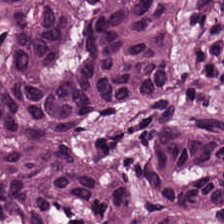Hematoxylin and eosin. This patch shows malignant epithelium.
